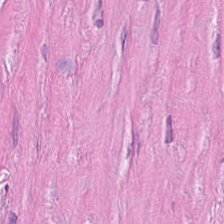H&E stain · brightfield. Impression — desmoplastic stroma.
